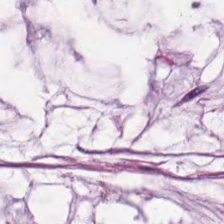Brightfield microscopy · hematoxylin-and-eosin stained section · 20× equivalent magnification. The tissue here is mucus.
